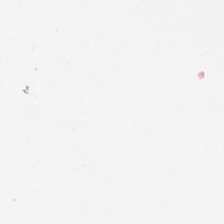The field content is background.
